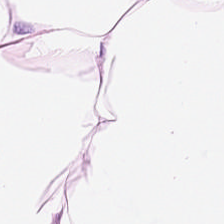H&E-stained tissue section.
Impression → fat tissue.
